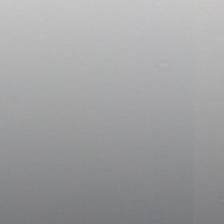Hematoxylin-and-eosin stained section; WSI patch.
Classification = background.
